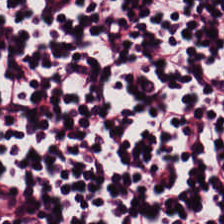The tissue type is lymphocytic infiltrate.
